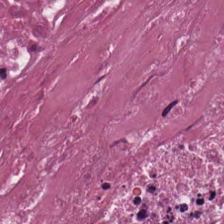Hematoxylin-and-eosin stained section — Impression — cellular debris.
